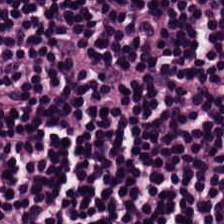H&E stain.
The tissue type is lymphocytes.
